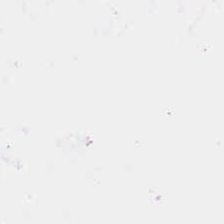H&E; 0.5 µm/px; brightfield — No tissue.
